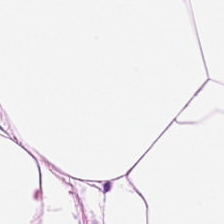224×224 px tile · hematoxylin and eosin · whole-slide-image patch. Histology — adipose.
